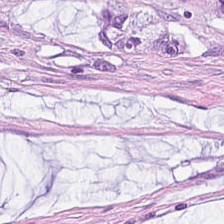FFPE tissue section. Hematoxylin-and-eosin stained section. The predominant tissue is mucin.
